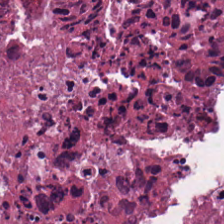H&E · FFPE tissue section · 0.5 microns per pixel.
Predominantly necrotic debris.
